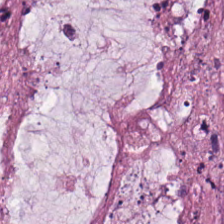H&E — Q: What tissue type is shown here?
A: The field shows extracellular mucin.
